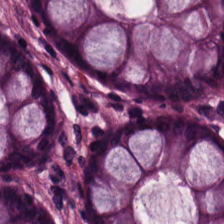Hematoxylin-and-eosin stained section. Impression — normal colon mucosa.
